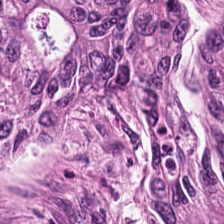Hematoxylin-and-eosin stained section · 0.5 µm per pixel. Showing colorectal adenocarcinoma.
